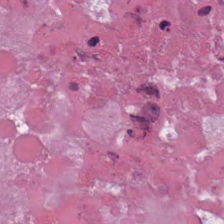H&E-stained section; the field shows necrotic debris.
